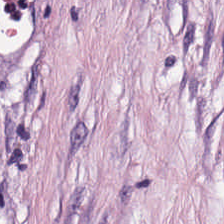Brightfield. H&E-stained tissue section. 224×224 pixel tile — Q: What does this patch show?
A: The field shows tumor-associated stroma.
